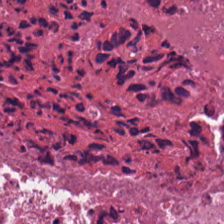0.5 µm/px; hematoxylin-and-eosin stained section — The classification is debris.
